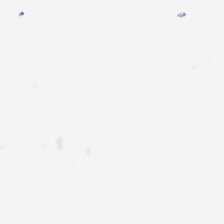H&E stain.
No tissue present; background only.
